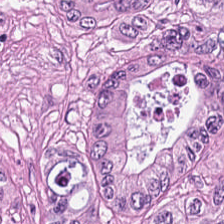Q: What tissue is shown?
A: The field shows colorectal adenocarcinoma epithelium.
